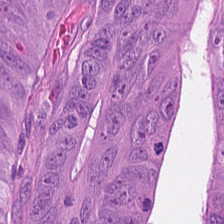H&E-stained tissue section.
Q: What is the predominant tissue type?
A: It is colorectal adenocarcinoma.
